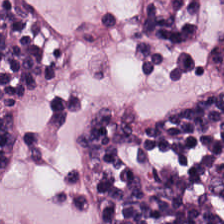Hematoxylin and eosin; 0.5 µm/px — Tissue class: lymphoid infiltrate.
